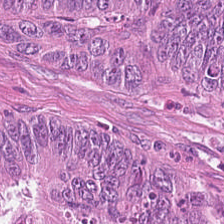Hematoxylin-and-eosin stained section — The tissue is adenocarcinoma.
